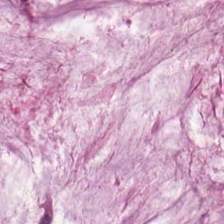H&E stain — The classification is extracellular mucin.
